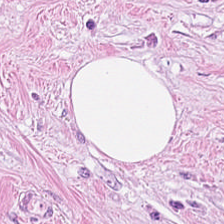Hematoxylin-and-eosin section: desmoplastic stroma.
